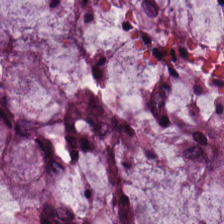H&E stain — Tissue type — normal colonic mucosa.
